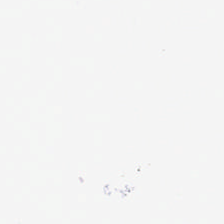Stain: H&E stain.
Content: no tissue.
